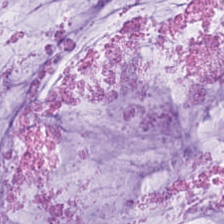H&E-stained tissue section — Extracellular mucin.
